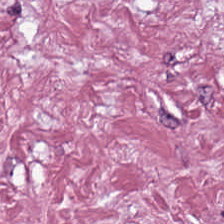Brightfield; H&E; FFPE — {"tissue_type": "tumor-associated stroma"}
